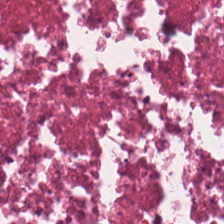Hematoxylin and eosin — The tissue class is debris.
